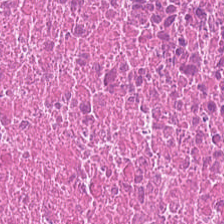Q: What is the predominant tissue type?
A: Cellular debris.
